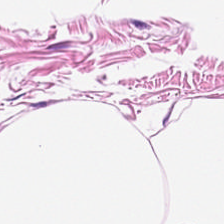Stain: H&E.
Resolution: 0.5 µm per pixel.
Predominant tissue: adipocytes.
